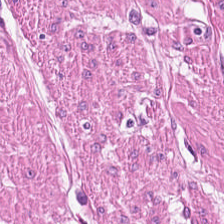H&E stain. Q: What is shown in this field?
A: The field shows muscularis.
